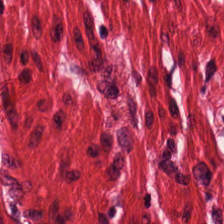Hematoxylin and eosin; 224×224 px tile. This patch shows smooth muscle.
